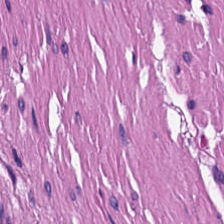Q: What is shown in this field?
A: This is smooth muscle.
